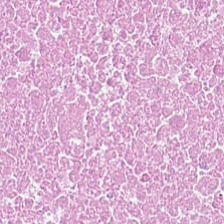224×224 pixel tile; hematoxylin-and-eosin stained section. Tissue type: cellular debris.
